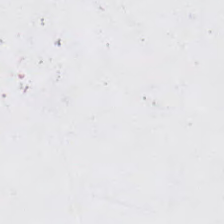H&E.
Classification — no tissue.
